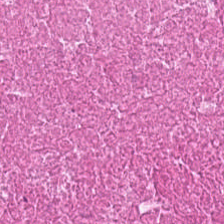0.5 microns per pixel · hematoxylin-and-eosin stained section. Q: What does this patch show?
A: This is debris.
